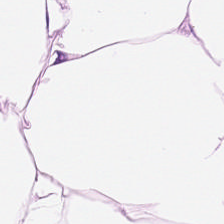The tissue type is adipose tissue.
